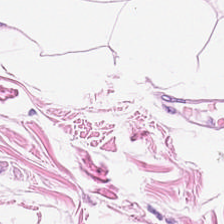H&E-stained tissue section · FFPE tissue section · whole-slide-image patch.
This field is adipocytes.
